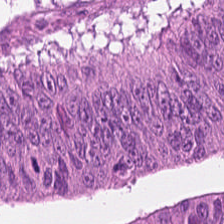Malignant epithelium.
